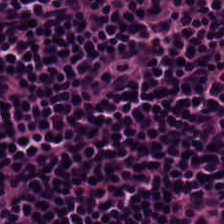H&E — Classification — lymphocytic infiltrate.
